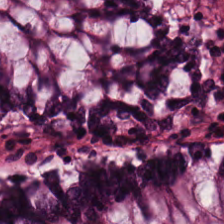Q: What tissue is shown?
A: This is normal colonic mucosa.
